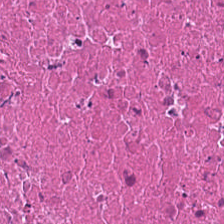H&E-stained tissue section · 224×224 px tile. Tissue: necrotic debris.
